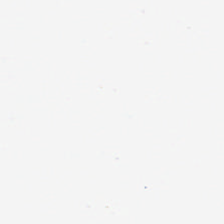The field content is no tissue.
